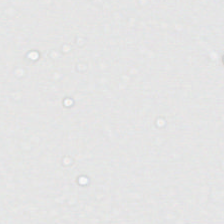H&E-stained tissue section; whole-slide-image patch; 224×224 px patch.
This field is background (no tissue).
